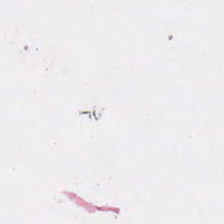224×224 pixel tile · H&E-stained tissue section — Histology → background.
